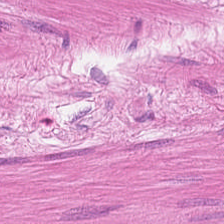Impression → smooth-muscle tissue.
